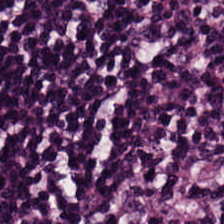Stain: hematoxylin-and-eosin stained section.
Tissue class: lymphocytes.
